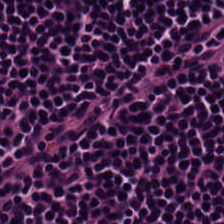Hematoxylin-and-eosin stained section — Lymphocytic infiltrate.
